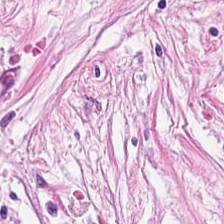H&E-stained tissue section — Predominantly cancer-associated stroma.
